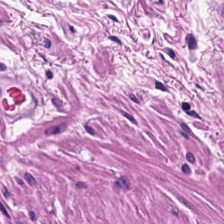Brightfield microscopy. H&E stain.
Histology → muscularis.
